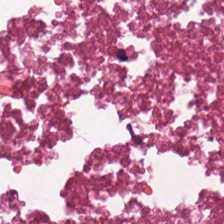H&E-stained tissue section. Tissue type = debris.
